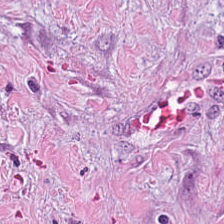Whole-slide-image patch · 224×224 px tile · hematoxylin and eosin — Tissue: desmoplastic stroma.
